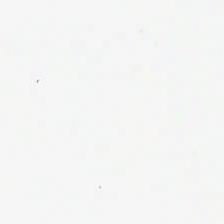224×224 pixel tile. 0.5 µm per pixel. Hematoxylin-and-eosin stained section — Field content: empty background.
